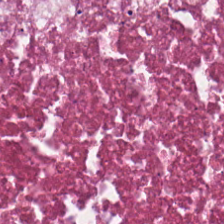Whole-slide-image patch; H&E-stained tissue section.
This field is cellular debris.
